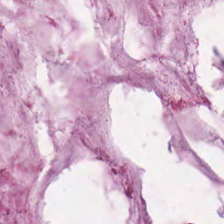H&E-stained tissue section. Mucin.
